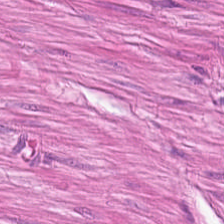H&E stain; formalin-fixed paraffin-embedded section; 224×224 px tile.
{"tissue_type": "muscularis"}
